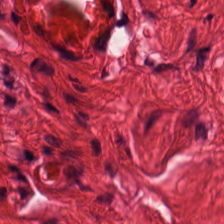Q: What is shown here?
A: It is muscularis.
